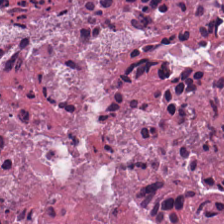Hematoxylin and eosin. The tissue here is necrotic debris.
